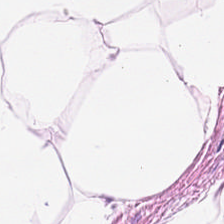Hematoxylin-and-eosin stained section — The tissue class is adipose tissue.
